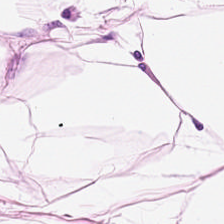Classification = adipose tissue.
